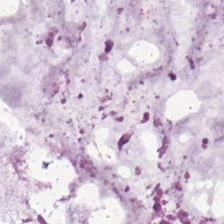Brightfield microscopy. H&E-stained tissue section — This patch shows mucus.
